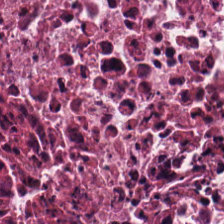Finding — necrotic debris.
